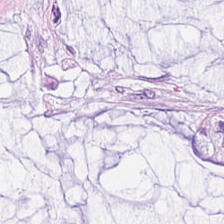Formalin-fixed paraffin-embedded section · brightfield microscopy · hematoxylin-and-eosin stained section.
Tissue = mucin.
